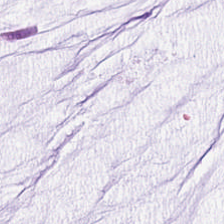Stain: hematoxylin and eosin.
Tissue type: mucus.
